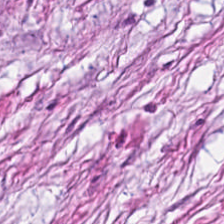Hematoxylin-and-eosin stained section · 0.5 µm per pixel — Predominantly cancer-associated stroma.
